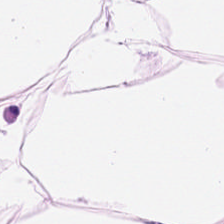Hematoxylin-and-eosin stained section · WSI patch. Predominantly adipose.
